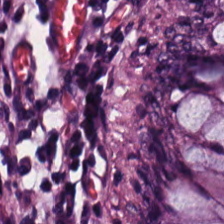H&E — Predominantly benign colonic mucosa.
